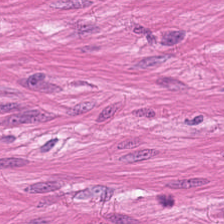H&E stain.
Q: What tissue type is shown here?
A: Muscularis.
